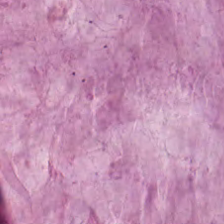Q: What is shown in this field?
A: Mucus.
